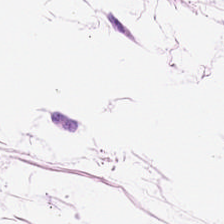H&E. The predominant tissue is fat tissue.
